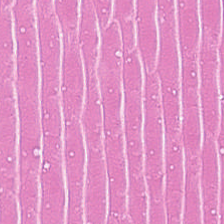H&E-stained section; the field shows debris.
